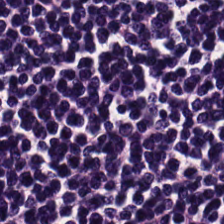H&E-stained tissue section.
Q: What tissue type is shown here?
A: Lymphocyte aggregate.
